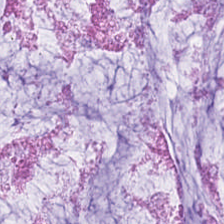Stain: hematoxylin and eosin.
Resolution: 0.5 microns per pixel.
Tissue class: mucus.
